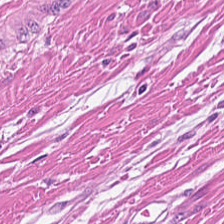H&E stain — Q: What tissue type is shown here?
A: This is smooth muscle.
